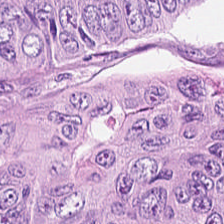Classification: malignant epithelium.
